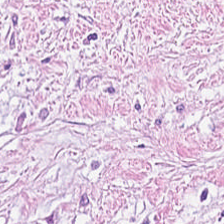Hematoxylin-and-eosin stained section · 224×224 px tile. The predominant tissue is cancer-associated stroma.
